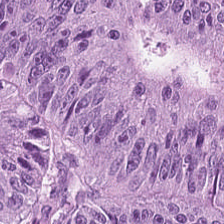H&E-stained tissue section. {"tissue_type": "colorectal adenocarcinoma epithelium"}
